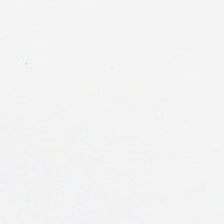H&E · formalin-fixed paraffin-embedded section — This patch shows background.
